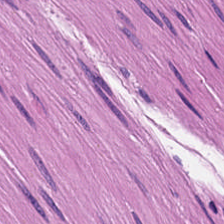Tissue — smooth-muscle tissue.
